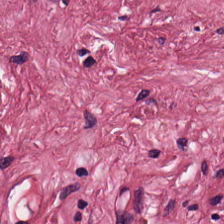Tumor-associated stroma.
